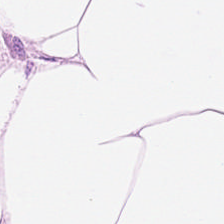224×224 px tile · H&E. {"tissue_type": "fat tissue"}
